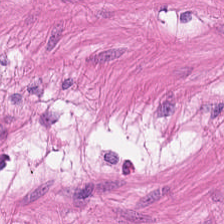The predominant tissue is muscularis.
